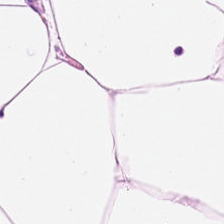H&E · brightfield microscopy. Adipose.
